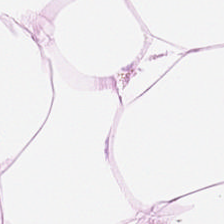Hematoxylin and eosin.
This patch shows adipose tissue.
